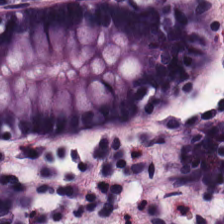H&E. The classification is non-neoplastic colon mucosa.
